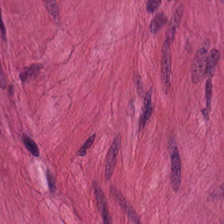224×224 px patch · hematoxylin and eosin — Showing smooth-muscle tissue.
